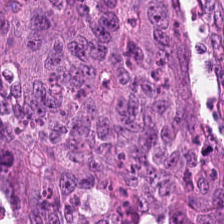Stain: hematoxylin-and-eosin stained section.
Acquisition: whole-slide-image patch.
Tissue: colorectal adenocarcinoma.
